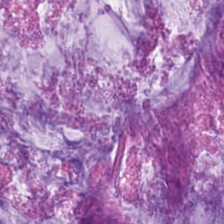Stain: H&E-stained tissue section.
Predominant tissue: mucus.
